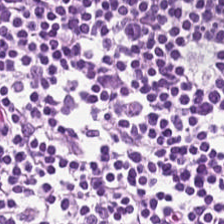H&E-stained tissue section showing lymphoid infiltrate.
